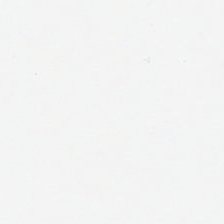Hematoxylin-and-eosin stained section. This field is background (no tissue).
